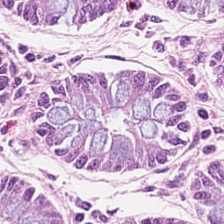The tissue type is normal colon mucosa.
